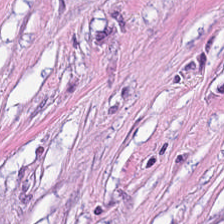Formalin-fixed paraffin-embedded section; H&E stain — The tissue class is tumor stroma.
